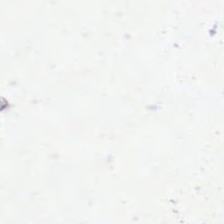Background (no tissue).
